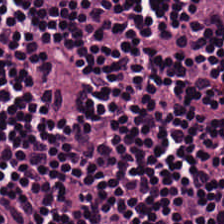Tissue type: lymphocyte aggregate.
